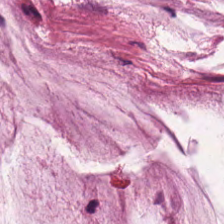Formalin-fixed paraffin-embedded section · H&E-stained tissue section.
Q: What is the predominant tissue type?
A: It is extracellular mucin.
